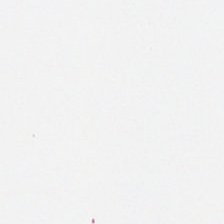FFPE tissue section. Hematoxylin and eosin. Q: What is shown in this field?
A: The field shows background (no tissue).
